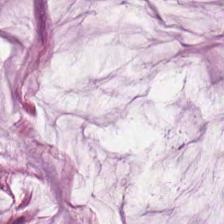Hematoxylin and eosin — {"tissue_type": "mucus"}
